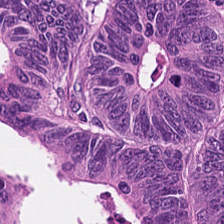Predominantly tumor epithelium.
